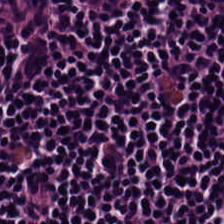H&E. 224×224 px patch. Brightfield.
{"tissue_type": "lymphocytic infiltrate"}
